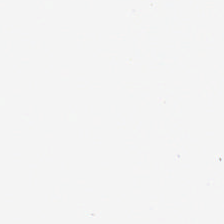Brightfield; H&E-stained tissue section. Empty background.
